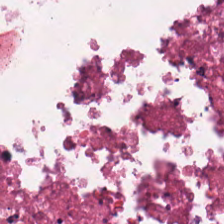H&E; WSI patch — Tissue — debris.
